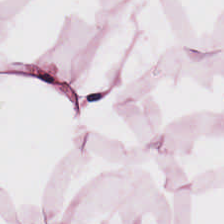Q: What is shown in this field?
A: Adipocytes.
